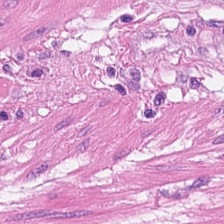Tissue type = muscularis.
